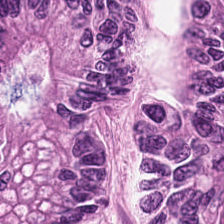H&E — Showing tumor epithelium.
